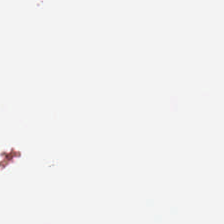Histology → empty background.
